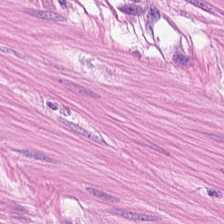Hematoxylin and eosin — Tissue type = smooth-muscle tissue.
